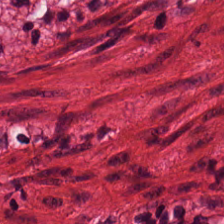Smooth muscle.
